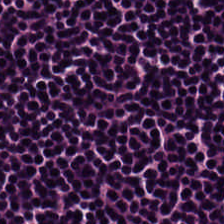Hematoxylin and eosin · 20× equivalent magnification — Predominantly lymphocyte aggregate.
